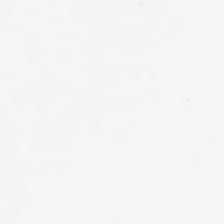This patch shows empty background.
